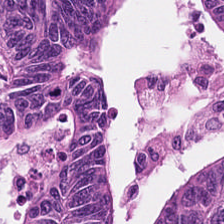H&E.
Predominantly colorectal adenocarcinoma.
